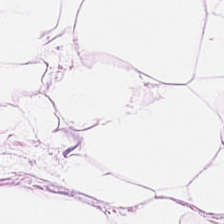Formalin-fixed paraffin-embedded section; H&E stain. {"tissue_type": "adipose"}
